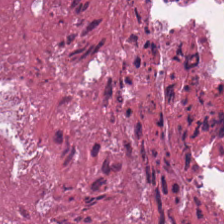H&E-stained tissue section.
Classification: debris.
